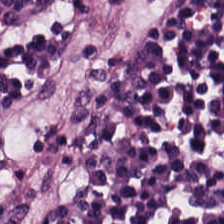H&E — Finding — lymphocytic infiltrate.
